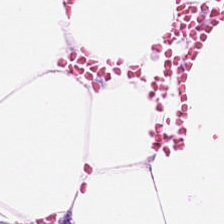H&E patch showing fat tissue.
